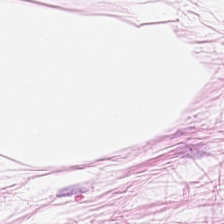H&E-stained tissue section showing adipocytes.
